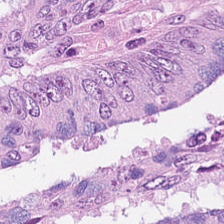FFPE; H&E-stained tissue section. Histology → malignant epithelium.
